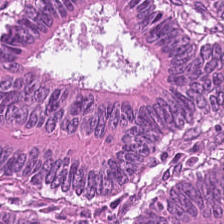Hematoxylin-and-eosin stained section · FFPE. Predominantly colorectal adenocarcinoma epithelium.
